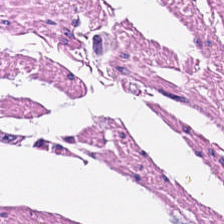Brightfield. H&E — Predominantly smooth-muscle tissue.
